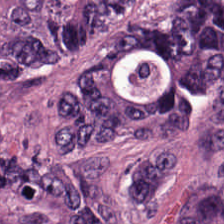Q: What type of tissue is this?
A: The field shows malignant epithelium.
